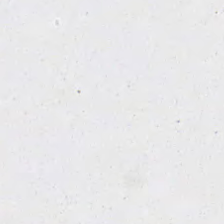0.5 µm/px. 224×224 px patch. H&E stain. Background — no tissue in this field.
